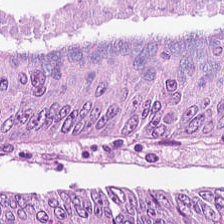Stain: H&E.
Acquisition: WSI patch.
Resolution: 0.5 microns per pixel.
Predominant tissue: adenocarcinoma.
